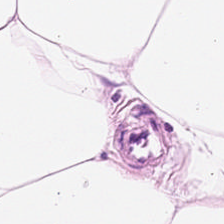H&E · FFPE tissue section.
The predominant tissue is adipocytes.
